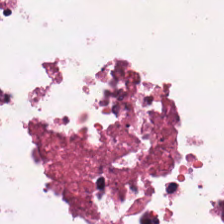Hematoxylin-and-eosin stained section — Necrotic debris.
